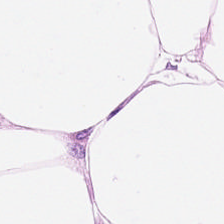0.5 µm per pixel; H&E; 224×224 px patch. Showing fat tissue.
